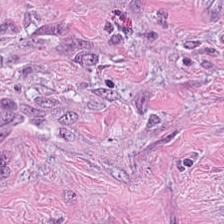H&E — Tissue class = tumor-associated stroma.
